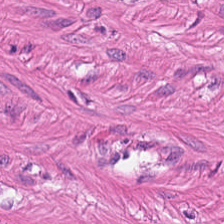Tissue type = smooth-muscle tissue.
